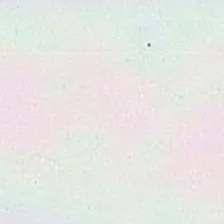Stain: H&E stain.
Resolution: 20× equivalent magnification.
Field content: background (no tissue).
